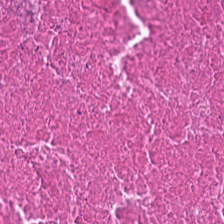Hematoxylin and eosin. This field is debris.
